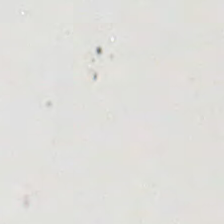H&E · WSI patch · 0.5 microns per pixel — Empty background.
